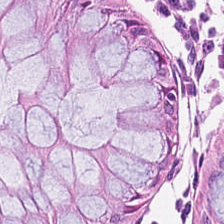H&E stain. Predominant tissue = benign colonic mucosa.
